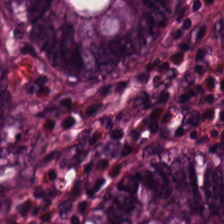Stain: hematoxylin-and-eosin stained section.
Resolution: 20× equivalent magnification.
Acquisition: WSI patch.
Predominant tissue: benign colonic mucosa.
